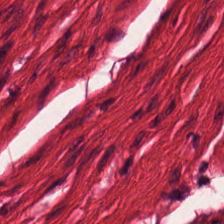224×224 px patch · FFPE tissue section · hematoxylin-and-eosin stained section. Q: Classify this patch.
A: The field shows smooth-muscle tissue.
